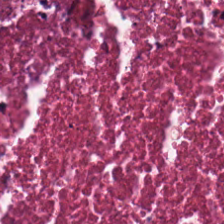H&E-stained tissue section.
Classification = debris.
